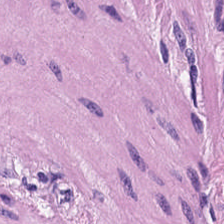H&E — smooth muscle.
